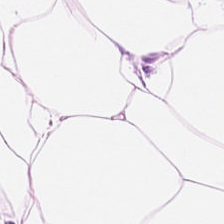Hematoxylin-and-eosin stained section · 224×224 pixel tile. Impression — adipose.
